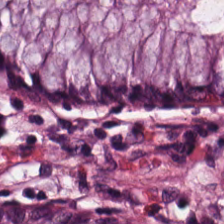Hematoxylin and eosin.
Benign colonic mucosa.
